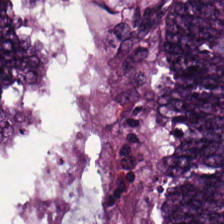H&E patch showing colorectal adenocarcinoma.
